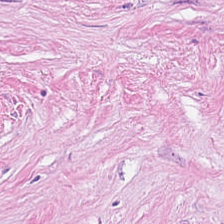Stain: H&E.
Classification: tumor stroma.
